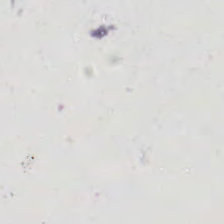Background (no tissue).
